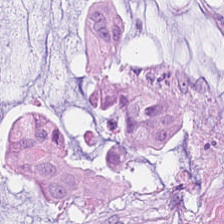H&E-stained tissue section.
Finding → mucin.
